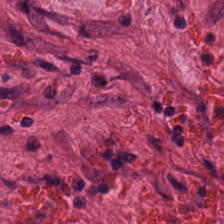H&E patch showing cancer-associated stroma.
